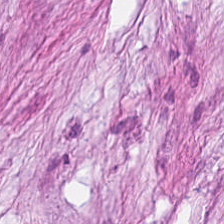Hematoxylin-and-eosin stained section. 0.5 µm/px.
Tissue type — cancer-associated stroma.
